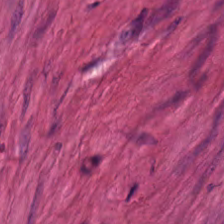H&E-stained tissue section. 0.5 µm per pixel. Showing smooth muscle.
